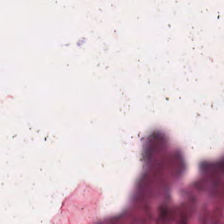H&E-stained section; the field shows cellular debris.
